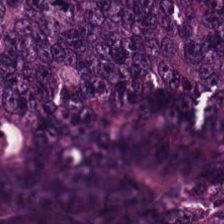Hematoxylin-and-eosin stained section. Impression — adenocarcinoma.
